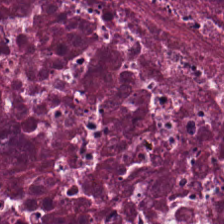Stain: hematoxylin and eosin.
Tissue class: debris.
